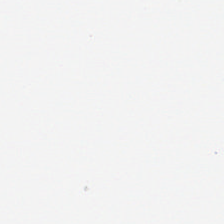Finding — background (no tissue).
